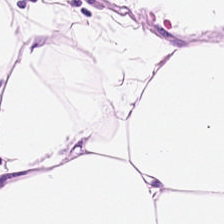0.5 µm/px · H&E. Predominantly adipose tissue.
